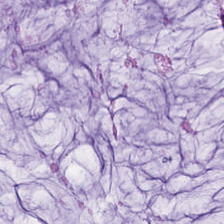Stain: H&E-stained tissue section.
Tile size: 224×224 pixel tile.
Tissue class: extracellular mucin.
